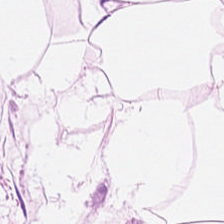Brightfield microscopy · hematoxylin and eosin.
Histology → adipose.
